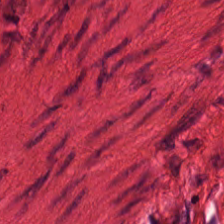Impression — smooth muscle.
